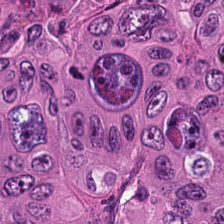Stain: hematoxylin and eosin.
Tile size: 224×224 px tile.
Classification: adenocarcinoma.
